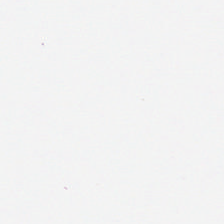H&E. No tissue.
